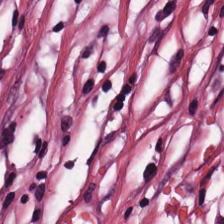Stain: hematoxylin and eosin.
Preparation: FFPE tissue section.
Acquisition: whole-slide-image patch.
Tissue class: tumor stroma.
